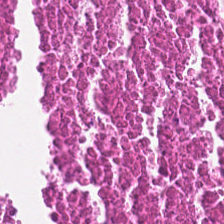224×224 px tile; H&E-stained tissue section; 20× equivalent magnification. Predominant tissue = cellular debris.
